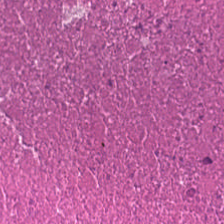Hematoxylin-and-eosin stained section. Histology — necrotic debris.
